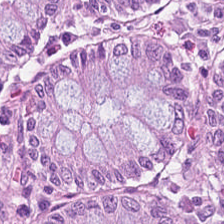Q: What is shown in this field?
A: Normal colon mucosa.
